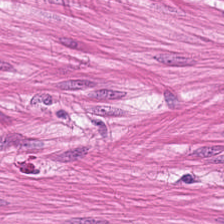Muscularis.
